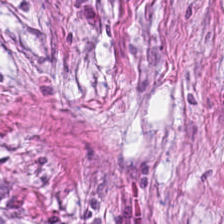Hematoxylin and eosin. Desmoplastic stroma.
